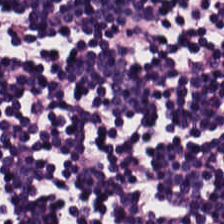H&E-stained section; the field shows lymphocytes.
